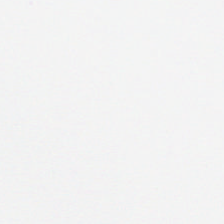Impression → no tissue.
